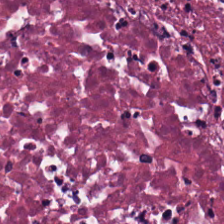H&E-stained tissue section. Predominantly cellular debris.
